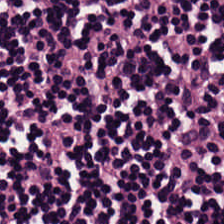Predominantly lymphocytes.
